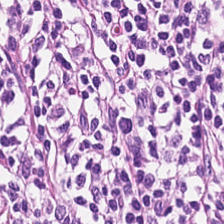Hematoxylin and eosin — {"tissue_type": "lymphocytes"}
